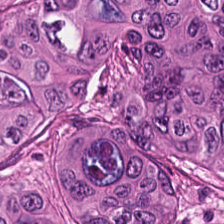Tissue type — tumor epithelium.
